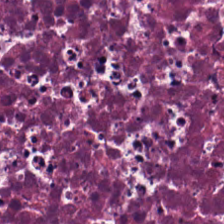H&E; WSI patch. This field is debris.
